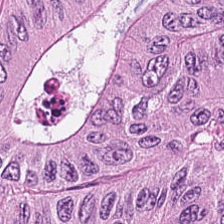Hematoxylin-and-eosin stained section. The predominant tissue is malignant epithelium.
